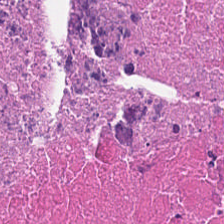Brightfield · H&E stain. The tissue here is debris.
